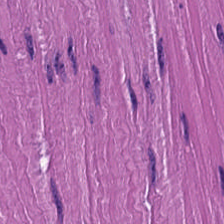H&E-stained tissue section.
Impression → smooth-muscle tissue.
